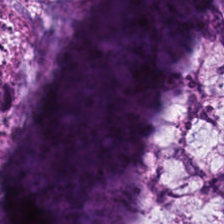Predominant tissue — extracellular mucin.
